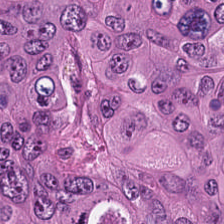Hematoxylin-and-eosin stained section.
Finding → adenocarcinoma.
